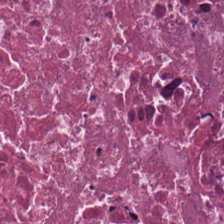Stain: H&E stain.
Tissue: necrotic debris.
